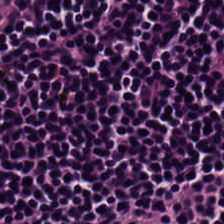Brightfield. Hematoxylin-and-eosin stained section. 0.5 µm/px — Predominantly lymphocyte aggregate.
